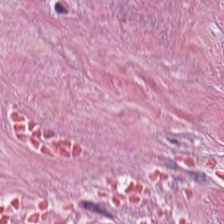Stain: hematoxylin and eosin.
Acquisition: whole-slide-image patch.
Predominant tissue: cancer-associated stroma.
